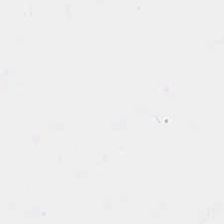H&E-stained tissue section — This field is background (no tissue).
